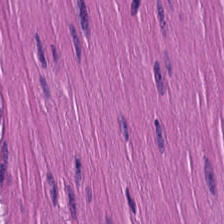224×224 pixel tile. Hematoxylin-and-eosin stained section — Showing muscularis.
